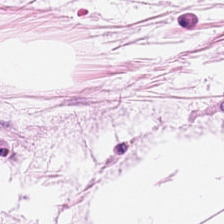Hematoxylin-and-eosin stained section. Showing adipose.
